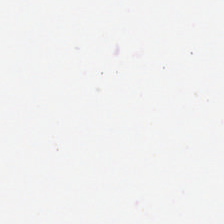224×224 pixel tile · hematoxylin-and-eosin stained section · whole-slide-image patch.
Empty field — empty background.
